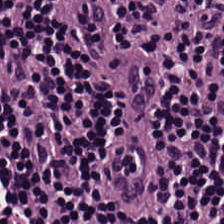Q: What tissue is shown?
A: It is lymphoid infiltrate.
